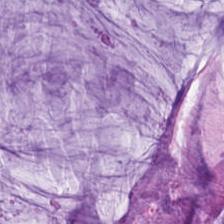Hematoxylin and eosin. The predominant tissue is extracellular mucin.
